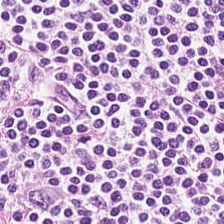Classification: lymphocyte aggregate.
